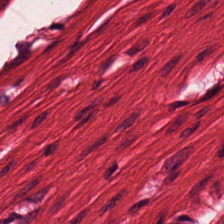Hematoxylin-and-eosin stained section.
Q: Identify the tissue.
A: This is muscularis.
